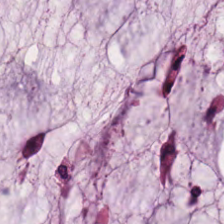Finding → mucus.
